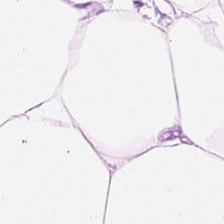H&E; FFPE — Predominant tissue: adipose tissue.
